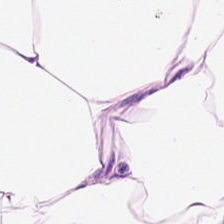The predominant tissue is adipose.
